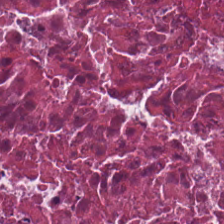{"tissue_type": "cellular debris"}
